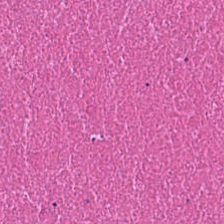Q: What tissue is shown?
A: This is necrotic debris.
